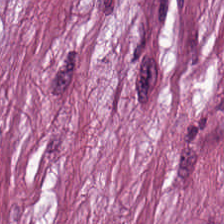H&E. Q: What tissue type is shown here?
A: It is desmoplastic stroma.
